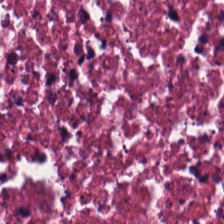H&E stain; formalin-fixed paraffin-embedded section — Classification = debris.
